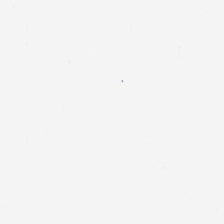0.5 µm per pixel; hematoxylin-and-eosin stained section.
Content = background (no tissue).
